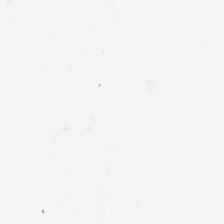H&E — Q: What is shown here?
A: This is empty background.
